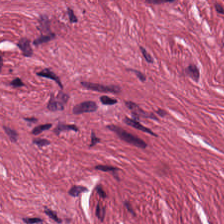FFPE · hematoxylin-and-eosin stained section.
Predominant tissue — tumor-associated stroma.
